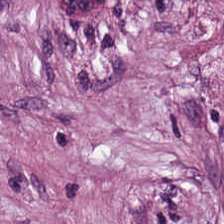The tissue here is tumor-associated stroma.
